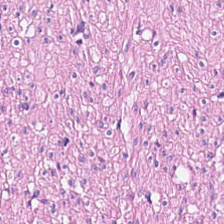Predominantly smooth muscle.
